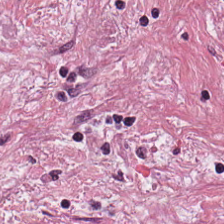Stain: H&E-stained tissue section.
Resolution: 20× equivalent magnification.
Preparation: formalin-fixed paraffin-embedded section.
Tissue: tumor stroma.
